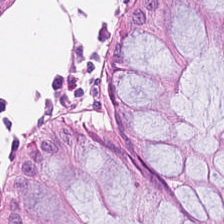H&E; 20× equivalent magnification; 224×224 pixel tile — Classification — normal colon mucosa.
